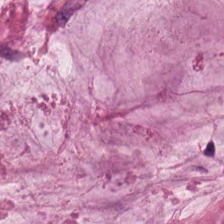H&E-stained tissue section. Classification: mucus.
